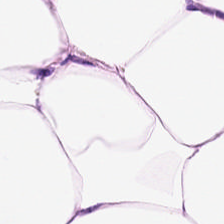Classification = adipose.
